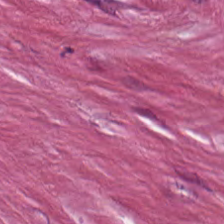Impression → tumor stroma.
